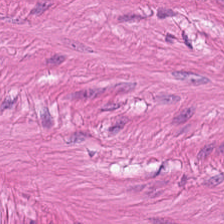Hematoxylin and eosin.
Predominantly muscularis.
